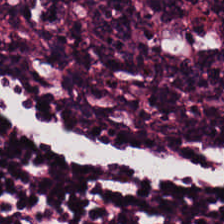20× equivalent magnification. FFPE. H&E.
Classification: lymphocyte aggregate.
